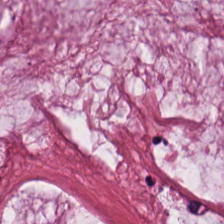Hematoxylin and eosin. 0.5 µm per pixel. Tissue class: mucin.
